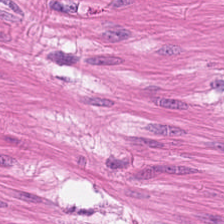H&E stain · FFPE tissue section.
{"tissue_type": "smooth muscle"}
